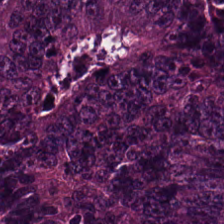H&E stain; brightfield; 0.5 µm per pixel.
Predominant tissue — colorectal adenocarcinoma epithelium.
